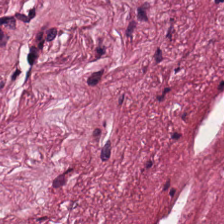H&E. Whole-slide-image patch. FFPE.
This field is tumor stroma.
